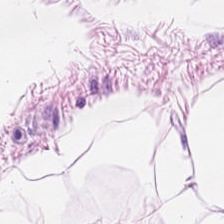Tissue type = fat tissue.
